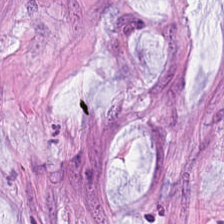WSI patch. H&E-stained tissue section. Q: What tissue is shown?
A: It is extracellular mucin.
